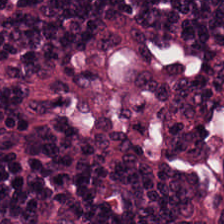224×224 px patch; H&E stain; 0.5 microns per pixel. Lymphocyte aggregate.
